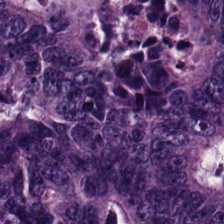H&E stain.
{"tissue_type": "malignant epithelium"}
